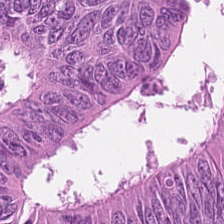Stain: H&E-stained tissue section.
Preparation: FFPE tissue section.
Tissue type: malignant epithelium.
